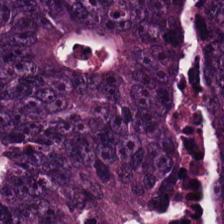Hematoxylin-and-eosin stained section.
Tissue class = tumor epithelium.
